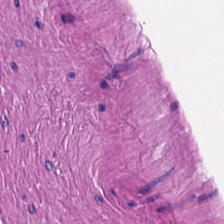Whole-slide-image patch. Hematoxylin and eosin. Q: What tissue type is shown here?
A: It is smooth muscle.
